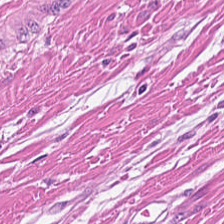FFPE tissue section. H&E-stained tissue section. Predominant tissue — smooth-muscle tissue.
